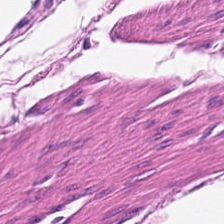H&E-stained tissue section showing smooth muscle.
